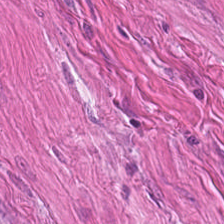H&E. 0.5 µm/px. Showing smooth-muscle tissue.
